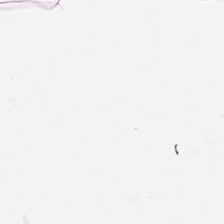224×224 pixel tile. H&E-stained tissue section. Brightfield — Q: What type of tissue is this?
A: The field shows adipose tissue.
